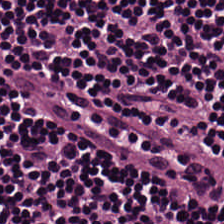{"tissue_type": "lymphocytes"}
